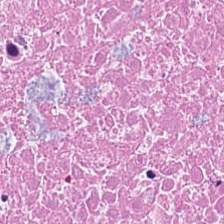H&E. Predominantly debris.
